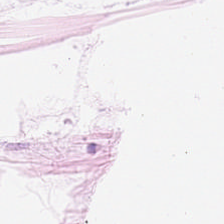Adipocytes.
